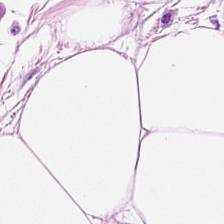H&E — Q: What tissue is shown?
A: This is fat tissue.
